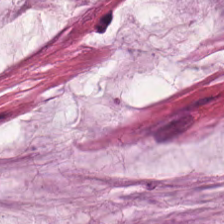H&E stain · FFPE tissue section — The classification is mucin.
